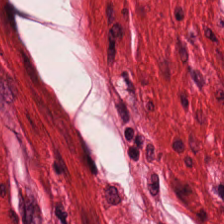FFPE; H&E.
This field is smooth muscle.
